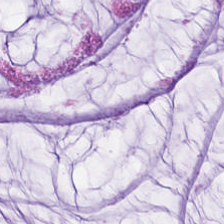Hematoxylin and eosin. 0.5 µm per pixel. Q: What type of tissue is this?
A: This is mucin.
